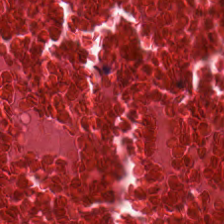Hematoxylin-and-eosin stained section.
Showing debris.
